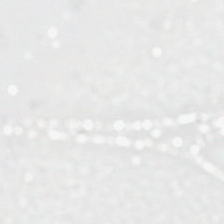H&E stain. Content — background (no tissue).
